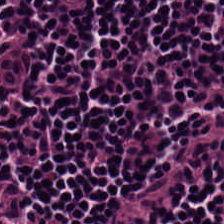Predominant tissue: lymphocyte aggregate.
